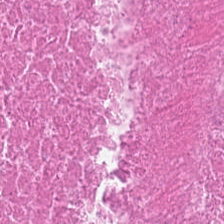H&E-stained tissue section. This field is necrotic debris.
